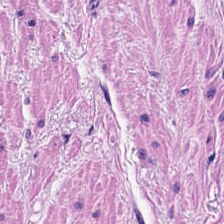224×224 px patch. H&E — Q: What tissue type is shown here?
A: Muscularis.
